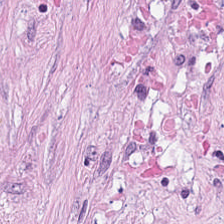Q: What is the predominant tissue type?
A: This is cancer-associated stroma.
